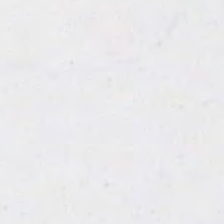Stain: hematoxylin and eosin.
Preparation: FFPE tissue section.
Classification: background.
